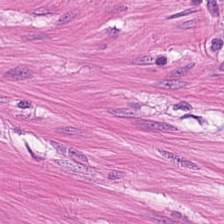H&E — Q: Classify this patch.
A: It is smooth muscle.
